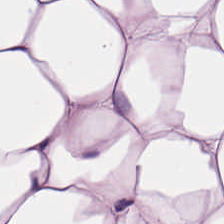224×224 px patch; H&E-stained tissue section — Impression — adipose.
